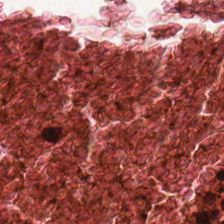H&E-stained tissue section — Q: What does this patch show?
A: Necrotic debris.
